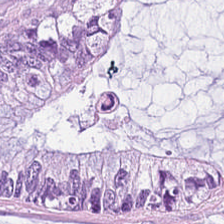H&E stain · 20× equivalent magnification. The tissue here is extracellular mucin.
